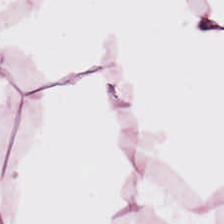H&E-stained tissue section · 224×224 px patch. Q: What is shown here?
A: The field shows adipocytes.
